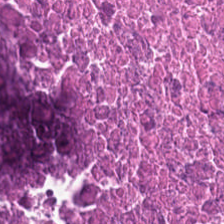20× equivalent magnification; H&E.
Predominantly necrotic debris.
